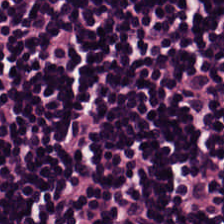0.5 µm per pixel; H&E stain. Predominant tissue: lymphoid infiltrate.
